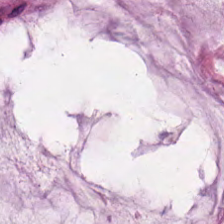Hematoxylin and eosin. 20× equivalent magnification. Formalin-fixed paraffin-embedded section — Impression — extracellular mucin.
